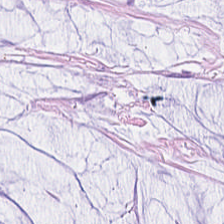Mucin.
